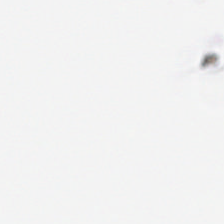224×224 px tile; hematoxylin and eosin — Q: What is shown in this field?
A: This is background.
